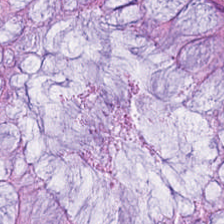H&E-stained tissue section showing non-neoplastic colon mucosa.
